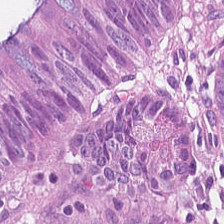Hematoxylin and eosin.
The tissue is colorectal adenocarcinoma epithelium.
